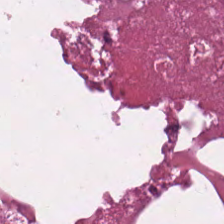H&E stain · brightfield microscopy — Showing cellular debris.
